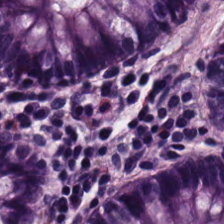FFPE tissue section; hematoxylin-and-eosin stained section. {"tissue_type": "normal colon mucosa"}
